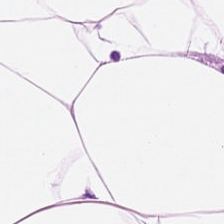H&E stain. 0.5 µm/px. The tissue is adipose tissue.
